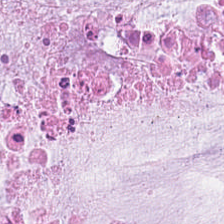Hematoxylin and eosin · WSI patch.
Mucus.
